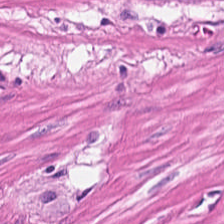20× equivalent magnification. Hematoxylin-and-eosin stained section. FFPE tissue section. The tissue type is smooth muscle.
